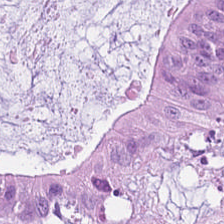H&E stain. The predominant tissue is mucus.
